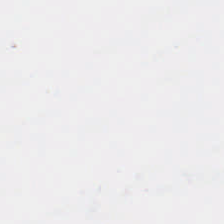Hematoxylin-and-eosin stained section. Q: What does this patch show?
A: The field shows no tissue.
